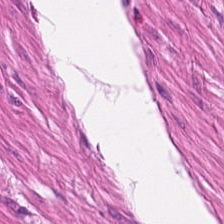Whole-slide-image patch · H&E stain.
Classification: smooth muscle.
